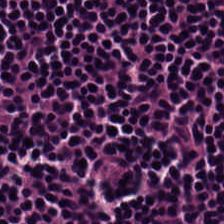Q: What does this patch show?
A: It is lymphocyte aggregate.
